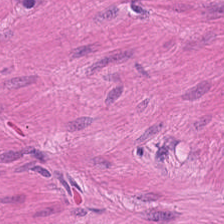Predominant tissue = smooth muscle.
